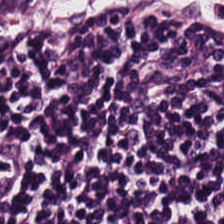Brightfield microscopy · H&E stain. Tissue type = lymphocyte aggregate.
